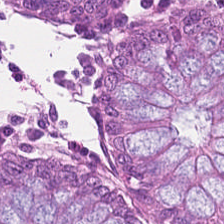H&E-stained tissue section. 0.5 µm per pixel. 224×224 px tile. Histology — benign colonic mucosa.
